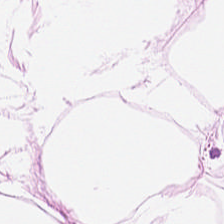Hematoxylin-and-eosin stained section · 224×224 px tile · 20× equivalent magnification — The predominant tissue is adipose.
